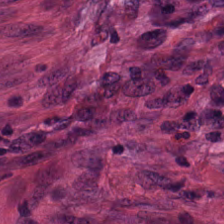Stain: hematoxylin-and-eosin stained section.
Tissue type: desmoplastic stroma.
